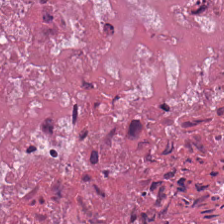H&E; 224×224 px patch. The tissue here is necrotic debris.
